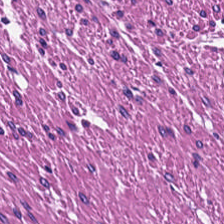H&E. 224×224 px patch — Q: What is the predominant tissue type?
A: This is smooth muscle.
